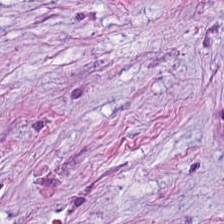224×224 px patch; whole-slide-image patch; H&E stain. Predominantly tumor stroma.
